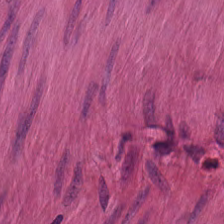Tissue type: smooth-muscle tissue.
